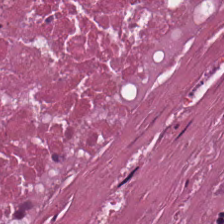Hematoxylin-and-eosin stained section · formalin-fixed paraffin-embedded section.
The tissue here is necrotic debris.
